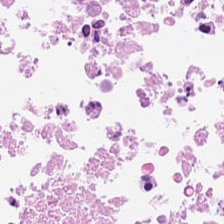H&E. 20× equivalent magnification.
Tissue type: necrotic debris.
